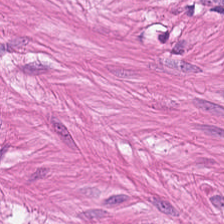H&E — smooth muscle.
